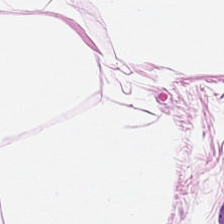Q: What tissue type is shown here?
A: It is adipocytes.
